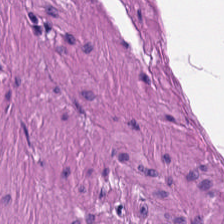Stain: H&E.
Resolution: 0.5 microns per pixel.
Classification: muscularis.
